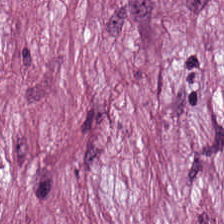Hematoxylin-and-eosin stained section. Showing cancer-associated stroma.
